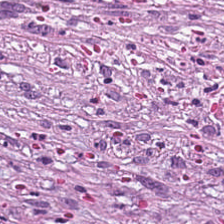Hematoxylin and eosin · 224×224 pixel tile — This field is tumor-associated stroma.
